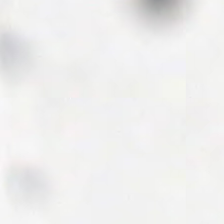Empty field — background.
